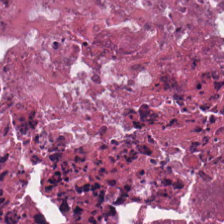Hematoxylin and eosin. Cellular debris.
